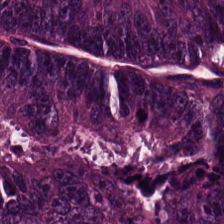Finding — adenocarcinoma.
